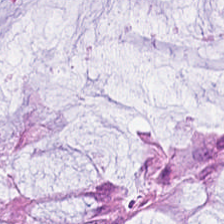224×224 pixel tile · H&E — The tissue here is normal colon mucosa.
